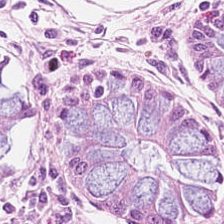Hematoxylin-and-eosin stained section · 224×224 px patch · 0.5 µm/px. Predominant tissue: benign colonic mucosa.
